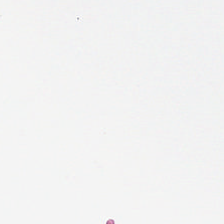FFPE tissue section; H&E.
Classification: no tissue.
